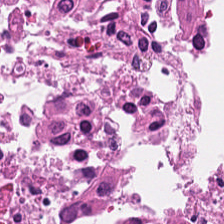H&E — Tissue type = debris.
